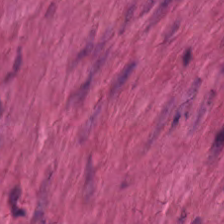FFPE tissue section; H&E-stained tissue section. Predominantly smooth muscle.
